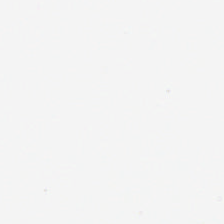Hematoxylin-and-eosin stained section. 0.5 µm/px — This field is background (no tissue).
